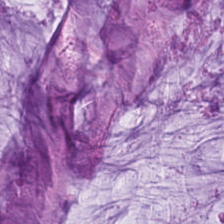Hematoxylin-and-eosin stained section — The classification is mucin.
